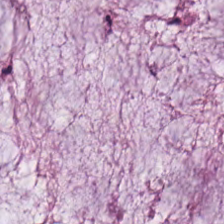Hematoxylin and eosin. The predominant tissue is extracellular mucin.
